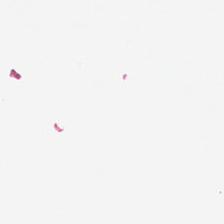H&E-stained tissue section — Classification = background (no tissue).
